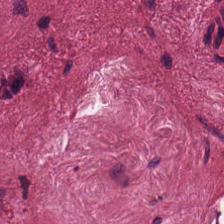Hematoxylin-and-eosin stained section.
Tissue class = tumor-associated stroma.
